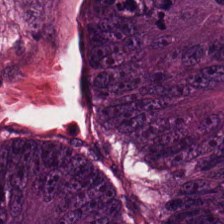{"tissue_type": "tumor epithelium"}
